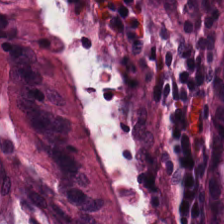H&E-stained tissue section; FFPE; 224×224 pixel tile — This patch shows non-neoplastic colon mucosa.
